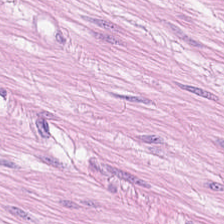FFPE tissue section · H&E-stained tissue section.
Smooth muscle.
